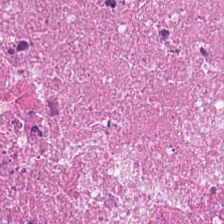Hematoxylin-and-eosin stained section. Tissue type — cellular debris.
